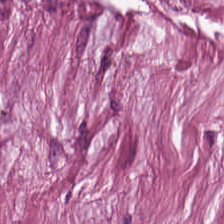20× equivalent magnification. Hematoxylin-and-eosin stained section.
Tissue type = tumor stroma.
